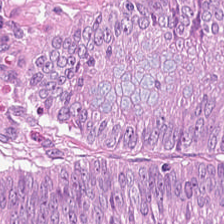H&E-stained tissue section.
The tissue here is colorectal adenocarcinoma.
